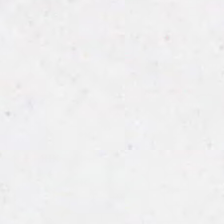224×224 px tile. H&E-stained tissue section. Classification: empty background.
